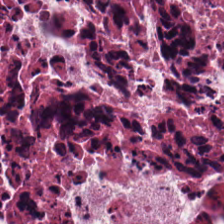Hematoxylin and eosin.
Q: Classify this patch.
A: This is cellular debris.
